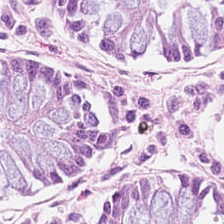Formalin-fixed paraffin-embedded section. Hematoxylin-and-eosin stained section. 224×224 px tile — The predominant tissue is normal colon mucosa.
